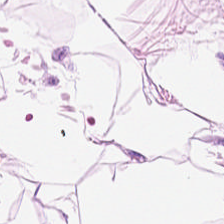0.5 microns per pixel. Hematoxylin and eosin. Tissue — fat tissue.
